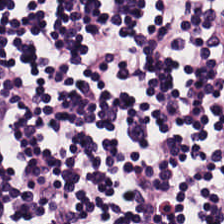Tissue type: lymphocytic infiltrate.
